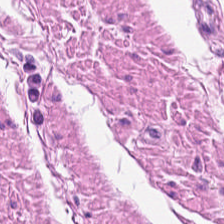H&E — muscularis.
